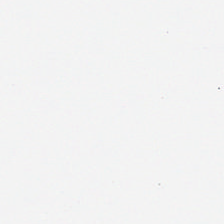H&E; 224×224 pixel tile. Q: Classify this patch.
A: This is empty background.
